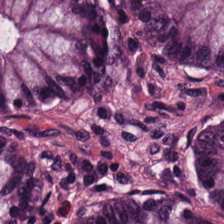Hematoxylin-and-eosin stained section — Predominant tissue = benign colonic mucosa.
